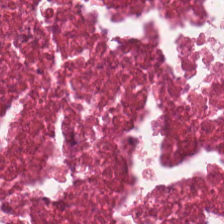H&E; 224×224 px patch; 0.5 µm per pixel. Histology — necrotic debris.
